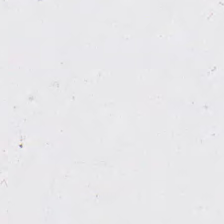{"content": "background (no tissue)"}
